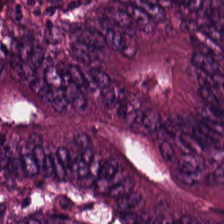Stain: H&E.
Resolution: 0.5 µm/px.
Predominant tissue: colorectal adenocarcinoma epithelium.
